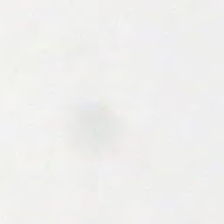This patch shows background.
